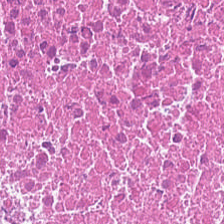Tissue class: cellular debris.
